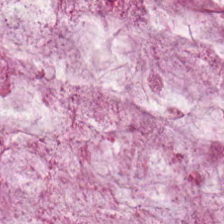H&E stain. The predominant tissue is mucin.
